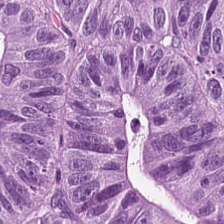Impression — tumor epithelium.
